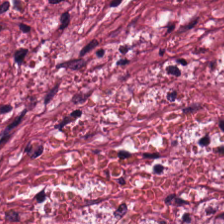H&E-stained tissue section.
Predominant tissue: tumor stroma.
